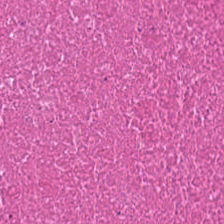0.5 µm/px · 224×224 px tile · H&E. This field is cellular debris.
